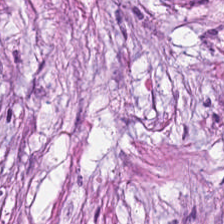0.5 µm per pixel · H&E — This field is tumor-associated stroma.
